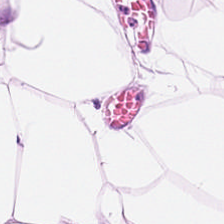Hematoxylin-and-eosin section: fat tissue.
